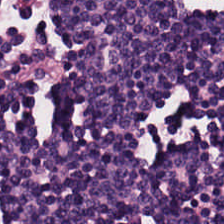224×224 px patch; hematoxylin and eosin; brightfield. This field is lymphocyte aggregate.
